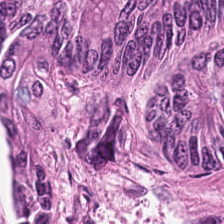224×224 px patch; hematoxylin and eosin; FFPE tissue section.
Showing malignant epithelium.
